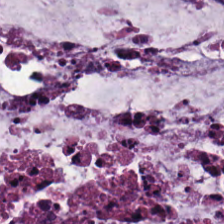The predominant tissue is mucin.
